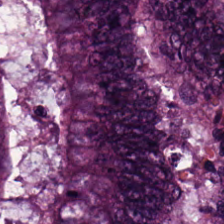The predominant tissue is colorectal adenocarcinoma epithelium.
